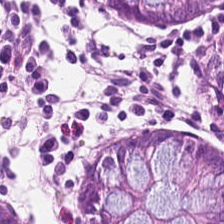Hematoxylin-and-eosin stained section. This patch shows normal colonic mucosa.
